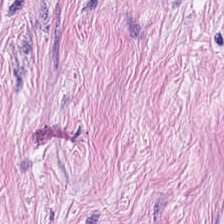H&E-stained tissue section. FFPE tissue section — Tissue = tumor stroma.
